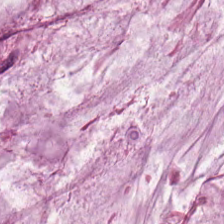Predominantly mucus.
